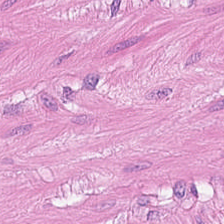H&E-stained tissue section — Showing smooth muscle.
